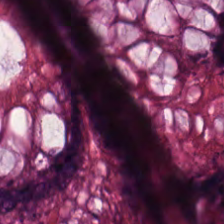20× equivalent magnification · H&E-stained tissue section.
{"tissue_type": "normal colon mucosa"}
